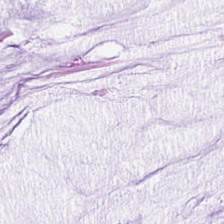H&E. The classification is mucin.
